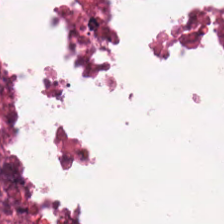Tissue — cellular debris.
